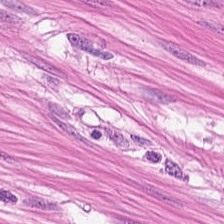Stain: hematoxylin and eosin.
Preparation: FFPE tissue section.
Resolution: 0.5 µm/px.
Tissue: muscularis.
